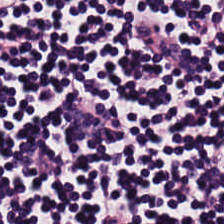{"tissue_type": "lymphocytic infiltrate"}
